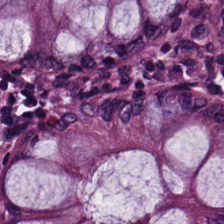H&E; 0.5 microns per pixel — Impression → benign colonic mucosa.
